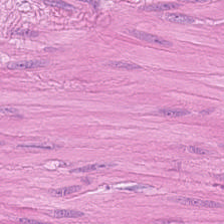Hematoxylin and eosin.
Q: Classify this patch.
A: The field shows smooth muscle.
